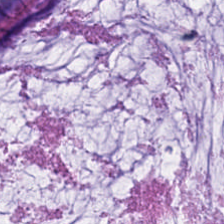Hematoxylin and eosin.
Q: What is shown in this field?
A: It is extracellular mucin.
